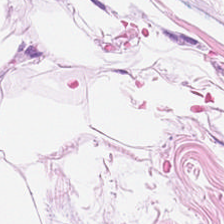Brightfield. H&E stain — The tissue class is adipose tissue.
